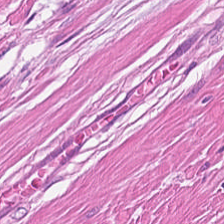FFPE tissue section; H&E stain. Predominantly smooth muscle.
